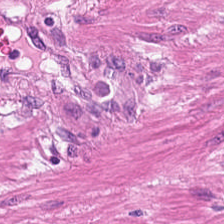H&E — This field is smooth-muscle tissue.
